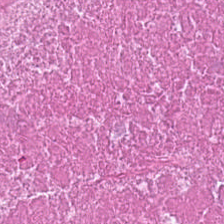H&E-stained tissue section — The tissue here is cellular debris.
